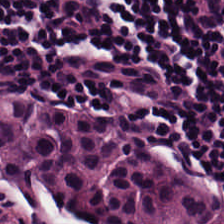H&E — Q: Identify the tissue.
A: Lymphocytic infiltrate.
